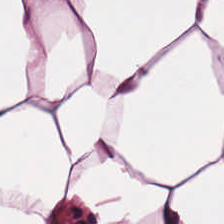Hematoxylin and eosin · WSI patch. Tissue: adipocytes.
